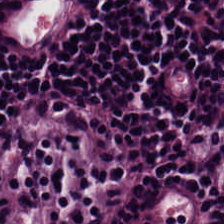H&E · 20× equivalent magnification — Q: What is shown in this field?
A: Lymphocytic infiltrate.
